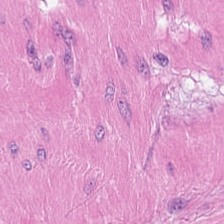Brightfield · FFPE tissue section · hematoxylin and eosin.
The tissue is smooth muscle.
